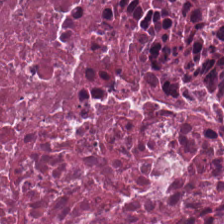Stain: H&E stain.
Tissue type: cellular debris.
